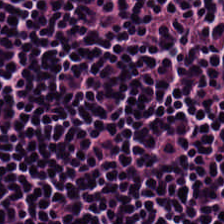Brightfield microscopy · hematoxylin and eosin. Predominant tissue = lymphoid infiltrate.
